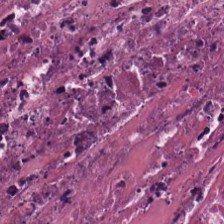H&E-stained tissue section.
Cellular debris.
